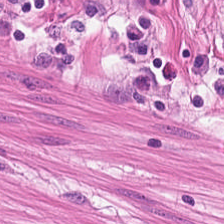Hematoxylin and eosin — This patch shows smooth-muscle tissue.
